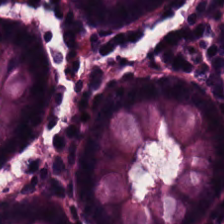H&E patch showing benign colonic mucosa.
